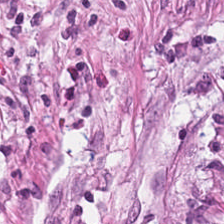Hematoxylin and eosin; 224×224 px patch; formalin-fixed paraffin-embedded section.
Q: What is shown here?
A: This is cancer-associated stroma.
